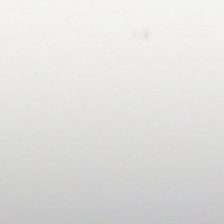Stain: H&E-stained tissue section.
Content: no tissue.
